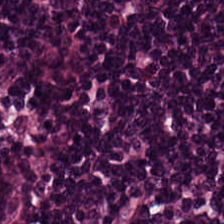H&E-stained tissue section showing lymphocytic infiltrate.
